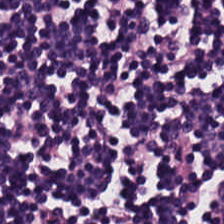H&E patch showing lymphocytes.
